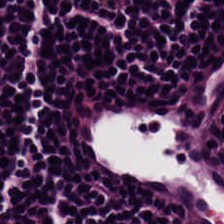H&E — Predominantly lymphocytic infiltrate.
